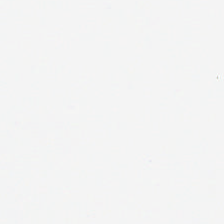The field content is background.
